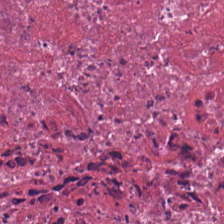Q: What is shown in this field?
A: This is necrotic debris.
